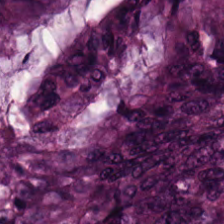Stain: H&E-stained tissue section.
Resolution: 20× equivalent magnification.
Tissue type: colorectal adenocarcinoma epithelium.
